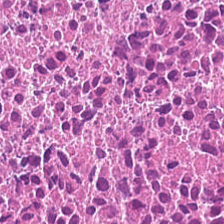H&E stain. This patch shows cellular debris.
